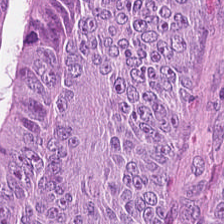H&E stain — Q: Identify the tissue.
A: This is adenocarcinoma.
